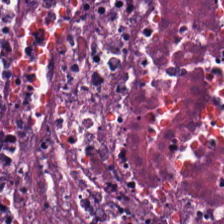Debris.
